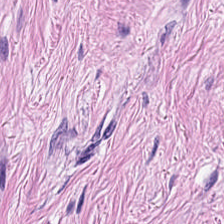H&E · WSI patch.
The predominant tissue is tumor-associated stroma.
